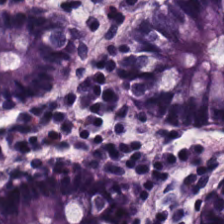Hematoxylin-and-eosin section: benign colonic mucosa.
